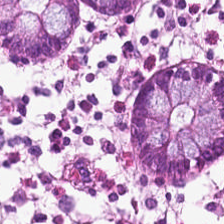H&E.
{"tissue_type": "normal colon mucosa"}
